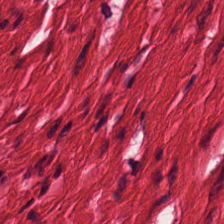Q: What tissue type is shown here?
A: This is muscularis.
